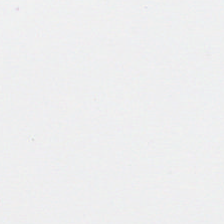0.5 µm per pixel; H&E-stained tissue section.
Q: What does this patch show?
A: No tissue.
